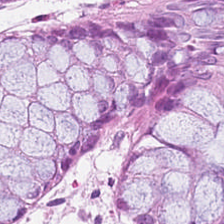H&E. Q: What is shown in this field?
A: The field shows normal colonic mucosa.
